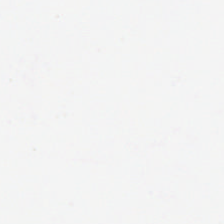Formalin-fixed paraffin-embedded section; brightfield; H&E-stained tissue section.
Background — no tissue in this field.
